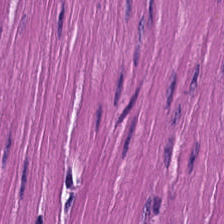H&E stain — Q: What tissue is shown?
A: It is muscularis.
